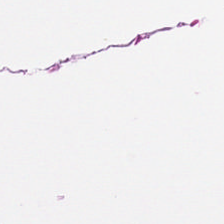0.5 microns per pixel · H&E-stained tissue section — Showing smooth-muscle tissue.
